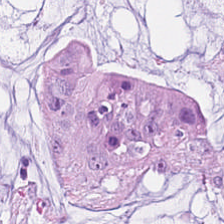FFPE. Hematoxylin-and-eosin stained section. This field is mucin.
